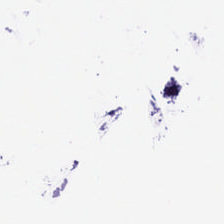Brightfield. H&E stain.
The classification is empty background.
